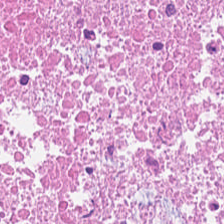Q: What is shown here?
A: It is debris.
